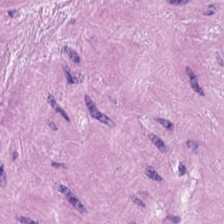Hematoxylin-and-eosin stained section — This patch shows smooth-muscle tissue.
